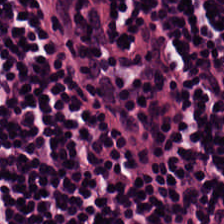This field is lymphoid infiltrate.
